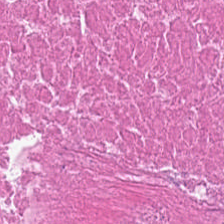Hematoxylin-and-eosin stained section.
The predominant tissue is necrotic debris.
